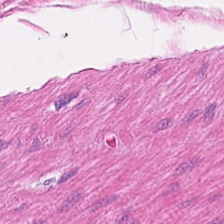FFPE tissue section; H&E stain.
Impression → muscularis.
